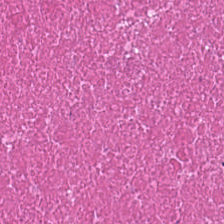Tissue = cellular debris.
